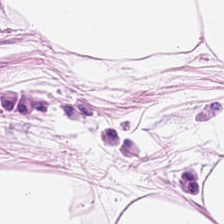Hematoxylin-and-eosin stained section.
Fat tissue.
